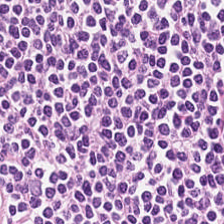Brightfield microscopy; hematoxylin-and-eosin stained section. {"tissue_type": "lymphoid infiltrate"}
